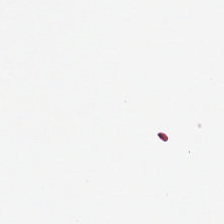Hematoxylin-and-eosin stained section.
No tissue present; background only.
